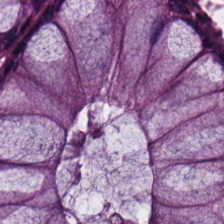H&E.
Classification: normal colonic mucosa.
